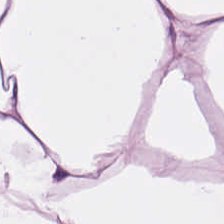Hematoxylin-and-eosin section: adipose tissue.
